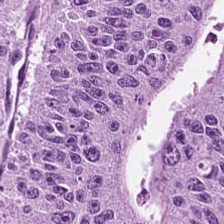Hematoxylin and eosin. This field is colorectal adenocarcinoma.
